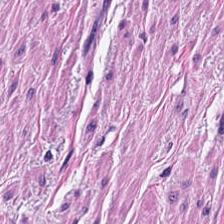Q: Classify this patch.
A: The field shows muscularis.
